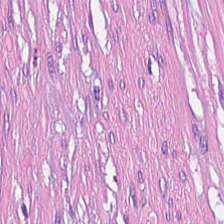Tissue: tumor-associated stroma.
